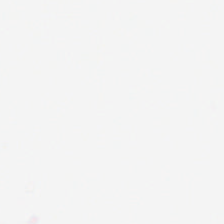FFPE tissue section. Hematoxylin-and-eosin stained section — The classification is background.
